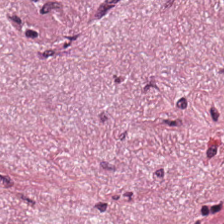H&E stain.
This patch shows tumor-associated stroma.
